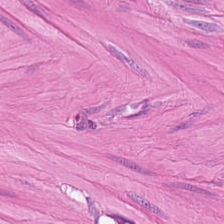20× equivalent magnification. H&E — This patch shows smooth muscle.
